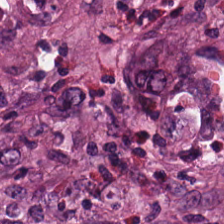Brightfield microscopy · hematoxylin and eosin.
This field is cancer-associated stroma.
